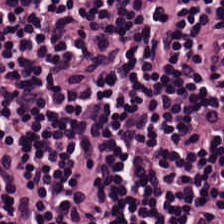0.5 microns per pixel · hematoxylin-and-eosin stained section — Q: What tissue is shown?
A: The field shows lymphocytes.
